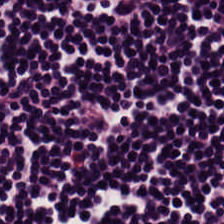Finding — lymphocyte aggregate.
